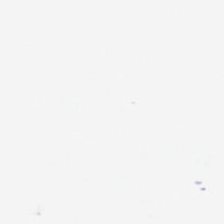H&E.
Empty field — no tissue.
